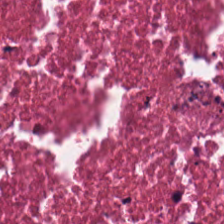Predominantly debris.
